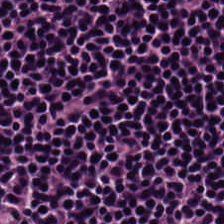224×224 px patch. Hematoxylin and eosin — Histology — lymphocyte aggregate.
